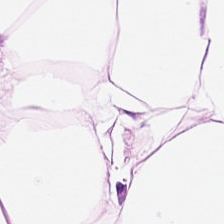Hematoxylin-and-eosin stained section — Histology — fat tissue.
